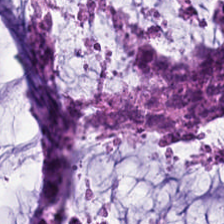Q: What is shown here?
A: The field shows mucus.
